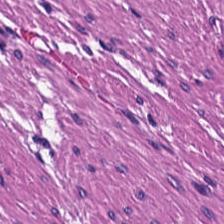Hematoxylin-and-eosin stained section. 20× equivalent magnification. WSI patch. Showing muscularis.
